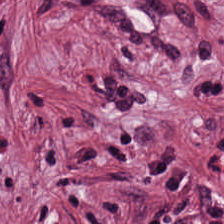H&E stain — Tissue: cancer-associated stroma.
